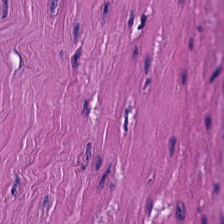224×224 px tile. Hematoxylin and eosin — This field is smooth-muscle tissue.
